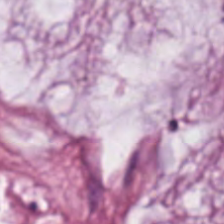WSI patch · hematoxylin-and-eosin stained section — The tissue here is mucus.
